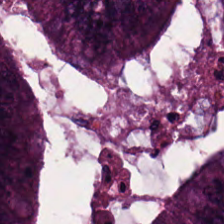Hematoxylin and eosin. Impression → colorectal adenocarcinoma.
